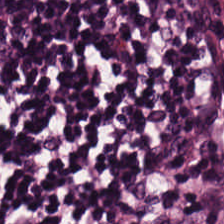H&E; 224×224 px tile; 20× equivalent magnification.
Tissue class — lymphocytic infiltrate.
